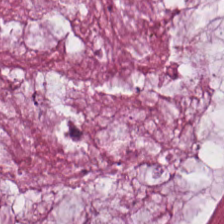The tissue class is mucus.
